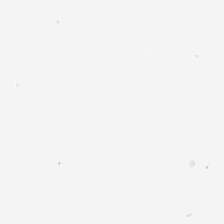Whole-slide-image patch · hematoxylin-and-eosin stained section. Field content — background (no tissue).
